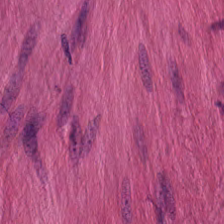Formalin-fixed paraffin-embedded section; hematoxylin-and-eosin stained section. Tissue class = smooth muscle.
